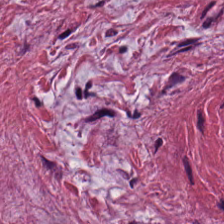{"tissue_type": "tumor-associated stroma"}
